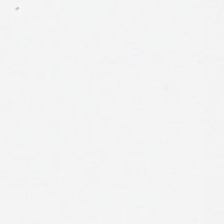H&E. This patch shows no tissue.
